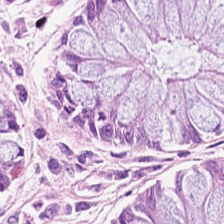Hematoxylin and eosin.
Classification: normal colon mucosa.
